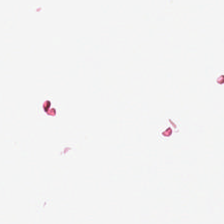Hematoxylin and eosin.
Histology → no tissue.
